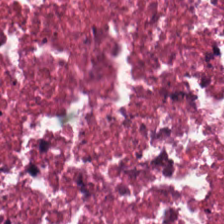Hematoxylin-and-eosin stained section.
{"tissue_type": "cellular debris"}
